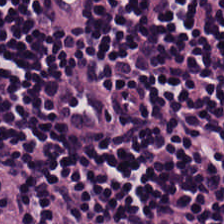Stain: H&E.
Tile size: 224×224 px patch.
Acquisition: brightfield.
Tissue class: lymphocytes.
